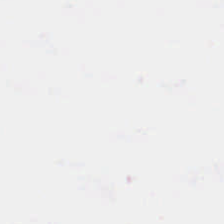H&E stain · 224×224 px patch. Background — no tissue in this field.
